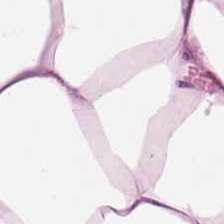Brightfield; H&E-stained tissue section; 224×224 px patch. Q: Classify this patch.
A: It is adipocytes.
